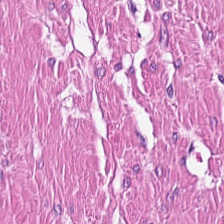Hematoxylin-and-eosin stained section. Q: What does this patch show?
A: Smooth muscle.
